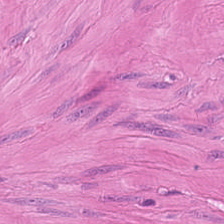H&E stain · 224×224 px tile. Finding — smooth-muscle tissue.
